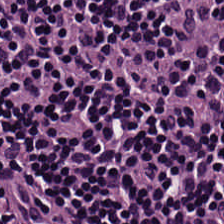Hematoxylin-and-eosin stained section. Q: Identify the tissue.
A: Lymphocyte aggregate.
